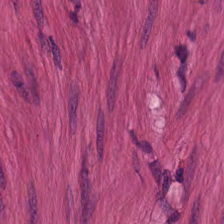224×224 pixel tile · hematoxylin and eosin.
The tissue is smooth-muscle tissue.
